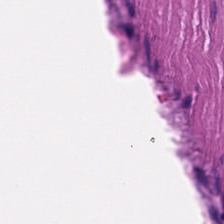This patch shows smooth-muscle tissue.
